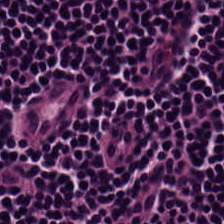Q: Classify this patch.
A: It is lymphoid infiltrate.
